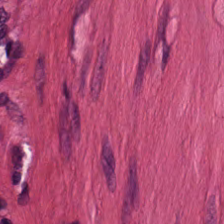Q: What is shown in this field?
A: It is smooth-muscle tissue.
